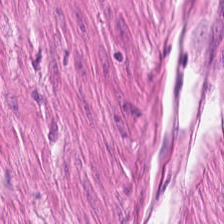Hematoxylin-and-eosin stained section. Smooth-muscle tissue.
